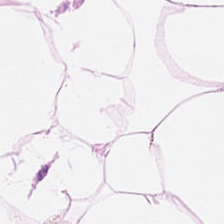H&E-stained tissue section — Impression — adipocytes.
